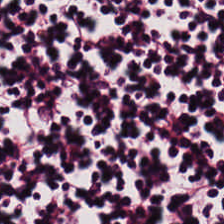Hematoxylin-and-eosin stained section · WSI patch. Histology → lymphocytic infiltrate.
